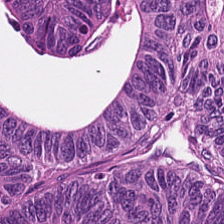Hematoxylin-and-eosin stained section. FFPE tissue section. 0.5 µm per pixel.
The tissue here is colorectal adenocarcinoma.
